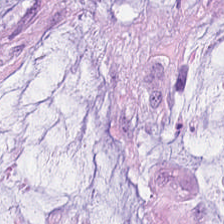Stain: hematoxylin-and-eosin stained section.
Tissue: mucus.
